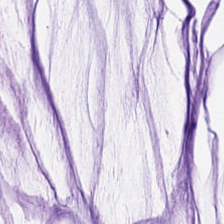Stain: hematoxylin-and-eosin stained section.
Predominant tissue: mucin.
